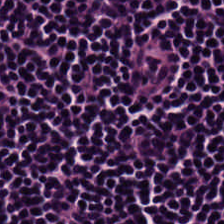Hematoxylin and eosin.
The tissue here is lymphoid infiltrate.
